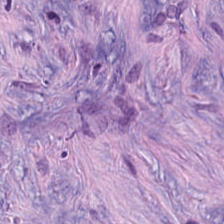H&E-stained tissue section; FFPE — Q: What is shown here?
A: This is tumor-associated stroma.
